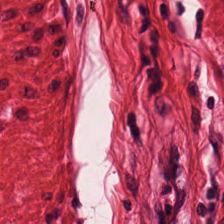FFPE tissue section. H&E-stained tissue section. 224×224 px tile — Q: What type of tissue is this?
A: It is muscularis.
